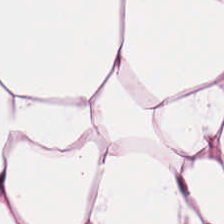Predominant tissue = fat tissue.
